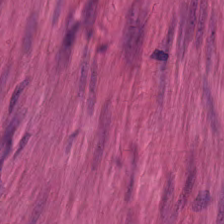Hematoxylin and eosin. This field is smooth muscle.
